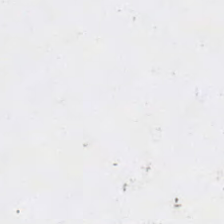FFPE · H&E-stained tissue section. Q: What does this patch show?
A: This is background (no tissue).
